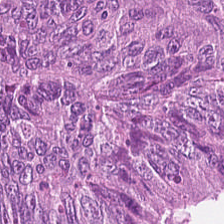H&E; 224×224 pixel tile.
The tissue here is colorectal adenocarcinoma.
